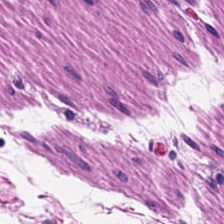H&E stain; 224×224 pixel tile; whole-slide-image patch.
The tissue here is muscularis.
